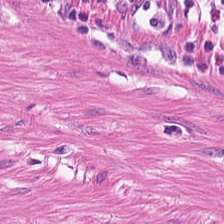The tissue class is smooth-muscle tissue.
